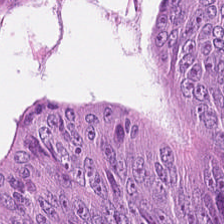H&E stain — The predominant tissue is tumor epithelium.
